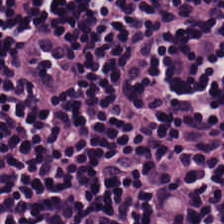The tissue class is lymphocyte aggregate.
